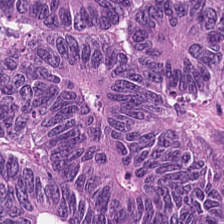Hematoxylin-and-eosin stained section · 224×224 pixel tile · brightfield microscopy. Impression → tumor epithelium.
